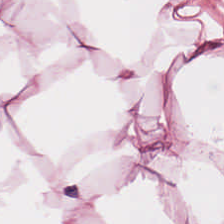H&E-stained tissue section.
Tissue class: adipose.
